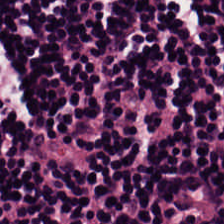Finding → lymphoid infiltrate.
